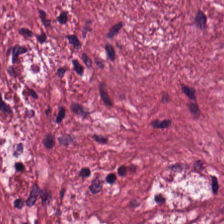FFPE; 224×224 px patch; H&E stain — Finding — desmoplastic stroma.
